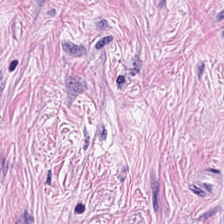0.5 µm per pixel; WSI patch; H&E. Histology → desmoplastic stroma.
